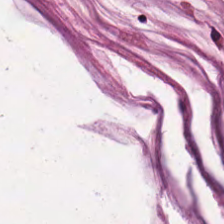0.5 µm/px · hematoxylin-and-eosin stained section.
Showing mucin.
